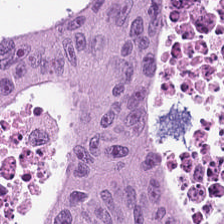Hematoxylin and eosin. Tissue type: tumor epithelium.
